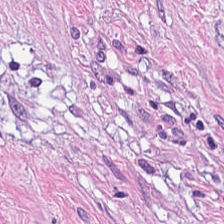H&E-stained tissue section.
Predominantly tumor-associated stroma.
